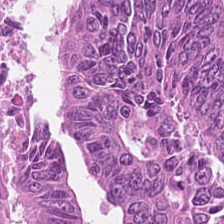Q: What tissue type is shown here?
A: It is adenocarcinoma.
